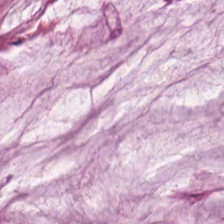H&E stain · FFPE tissue section — Q: Identify the tissue.
A: The field shows mucin.
